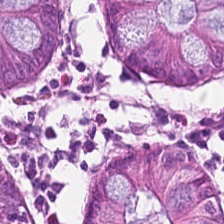H&E-stained tissue section showing non-neoplastic colon mucosa.
